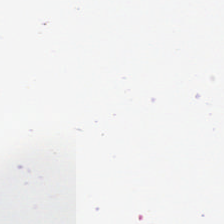H&E stain — Background.
